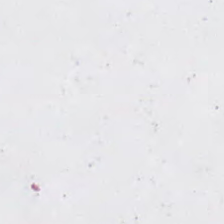Q: What does this patch show?
A: No tissue.
